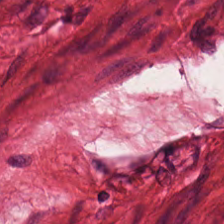H&E.
Classification: smooth-muscle tissue.
